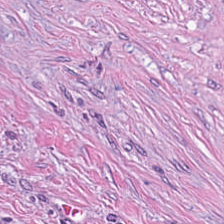Showing tumor stroma.
